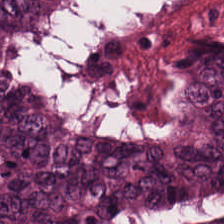Hematoxylin and eosin.
Q: What tissue type is shown here?
A: It is tumor epithelium.
